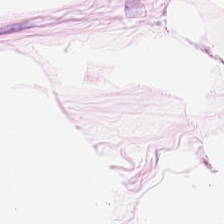Whole-slide-image patch. Hematoxylin and eosin.
Adipose.
